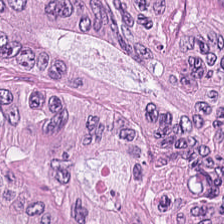H&E stain; 224×224 px tile. Impression → colorectal adenocarcinoma.
